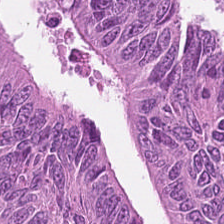H&E-stained tissue section. 224×224 px tile. FFPE tissue section.
Tissue class = malignant epithelium.
